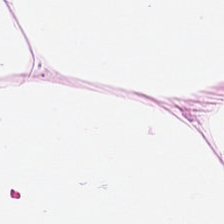20× equivalent magnification; H&E stain; FFPE tissue section.
Q: What is shown in this field?
A: The field shows adipose.
